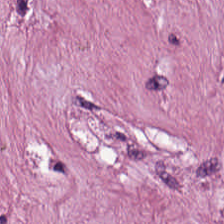Finding — desmoplastic stroma.
